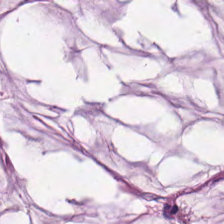H&E stain. Showing extracellular mucin.
